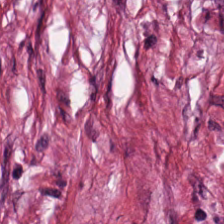Hematoxylin-and-eosin stained section · 224×224 pixel tile — Predominantly desmoplastic stroma.
